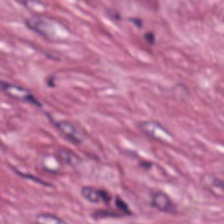This patch shows tumor stroma.
